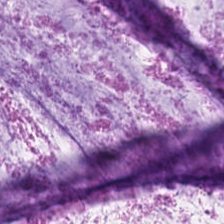H&E-stained tissue section; 0.5 microns per pixel. This field is extracellular mucin.
